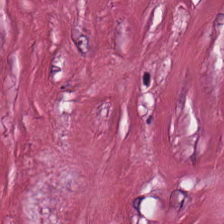H&E.
Tissue: tumor-associated stroma.
